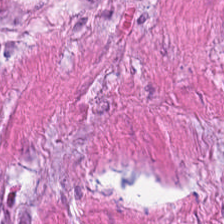Stain: H&E-stained tissue section.
Predominant tissue: smooth-muscle tissue.
